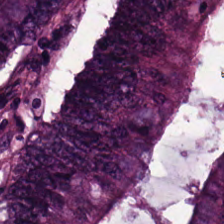The tissue here is tumor epithelium.
